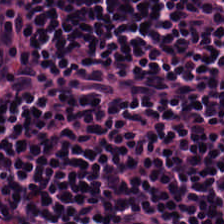Hematoxylin-and-eosin stained section.
Predominantly lymphocyte aggregate.
